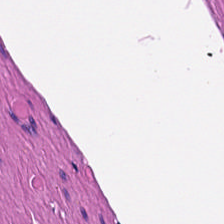Hematoxylin-and-eosin stained section · brightfield microscopy. The predominant tissue is smooth muscle.
